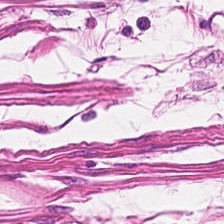FFPE tissue section; H&E; WSI patch. Finding — smooth-muscle tissue.
